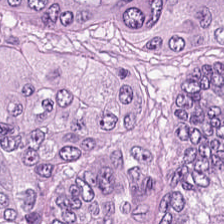Tissue = colorectal adenocarcinoma.
